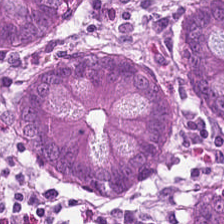H&E stain. The predominant tissue is non-neoplastic colon mucosa.
